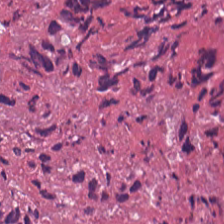Showing cellular debris.
